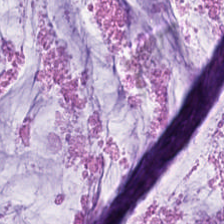H&E. The tissue here is mucin.
